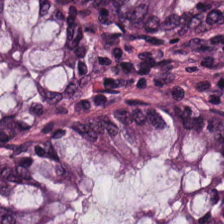Hematoxylin-and-eosin stained section · FFPE tissue section. Q: What tissue is shown?
A: Benign colonic mucosa.
